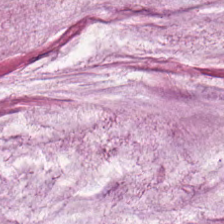20× equivalent magnification; hematoxylin and eosin — The tissue type is mucus.
